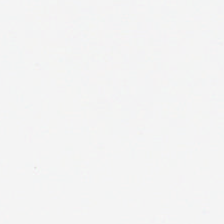224×224 px tile; H&E. Content — no tissue.
